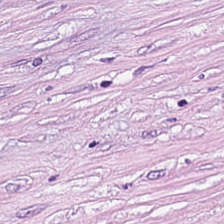WSI patch · H&E. The tissue is cancer-associated stroma.
